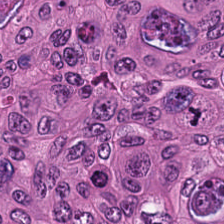Tissue type: adenocarcinoma.
